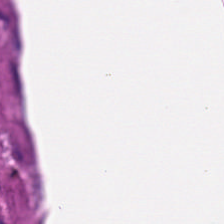FFPE · H&E stain · 20× equivalent magnification.
The tissue here is muscularis.
